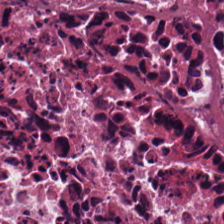Hematoxylin and eosin. FFPE tissue section.
The predominant tissue is debris.
